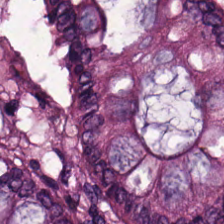H&E-stained tissue section — Finding → benign colonic mucosa.
